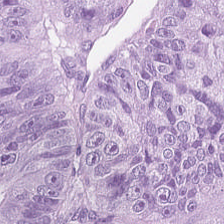Tissue class = malignant epithelium.
